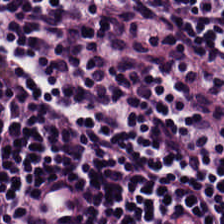Stain: hematoxylin and eosin.
Tissue class: lymphoid infiltrate.
